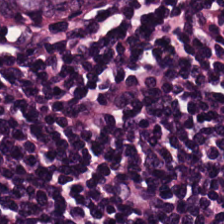224×224 px patch · formalin-fixed paraffin-embedded section · H&E stain. Predominant tissue: lymphoid infiltrate.
